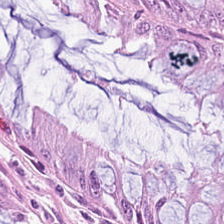H&E; 224×224 px patch — Tissue type — normal colon mucosa.
